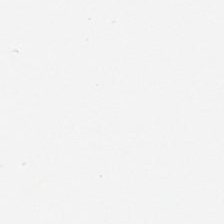H&E-stained tissue section.
This patch shows adipocytes.
